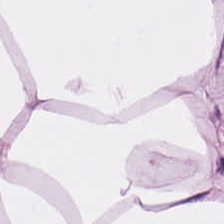H&E; 0.5 µm per pixel; brightfield — {"tissue_type": "adipose tissue"}
